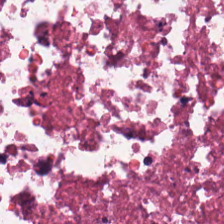224×224 px tile; H&E — Q: What tissue type is shown here?
A: This is necrotic debris.
